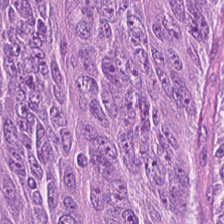H&E · brightfield microscopy · 0.5 µm/px — Tissue: colorectal adenocarcinoma epithelium.
